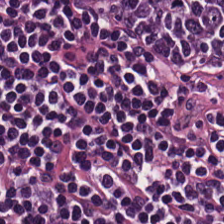224×224 px patch. H&E — The tissue here is lymphocyte aggregate.
